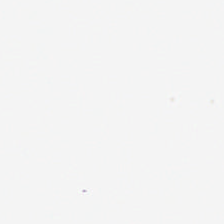Hematoxylin and eosin.
Background — no tissue in this field.
